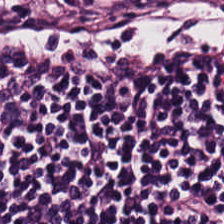Stain: H&E.
Preparation: FFPE tissue section.
Predominant tissue: lymphocyte aggregate.
